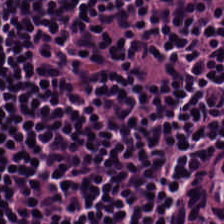224×224 pixel tile · brightfield · hematoxylin and eosin. Q: What does this patch show?
A: This is lymphocytes.
